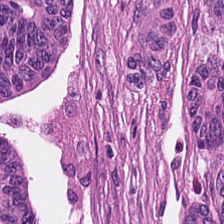Stain: hematoxylin and eosin.
Tissue: adenocarcinoma.
